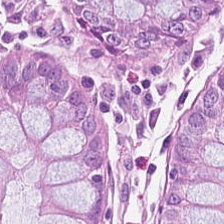Whole-slide-image patch · H&E-stained tissue section · FFPE.
Showing non-neoplastic colon mucosa.
